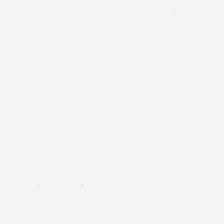H&E stain.
Q: What does this patch show?
A: This is background (no tissue).
